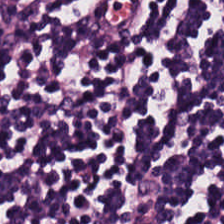H&E stain — Tissue type — lymphocytes.
